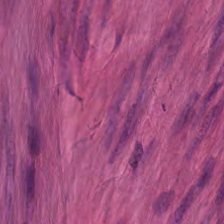H&E stain — The tissue is smooth-muscle tissue.
